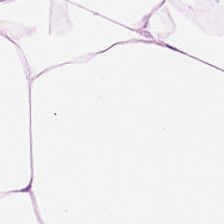224×224 pixel tile; H&E-stained tissue section.
Tissue = fat tissue.
